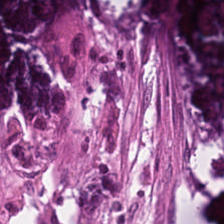The tissue class is necrotic debris.
